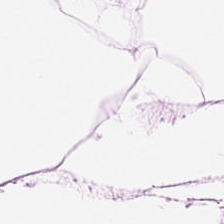H&E stain — Predominant tissue = adipose tissue.
